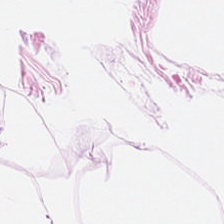The tissue type is adipose.
